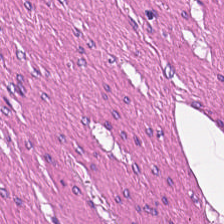H&E-stained tissue section.
Tissue type — smooth muscle.
